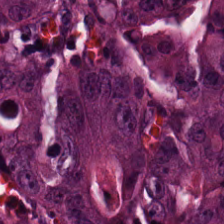Stain: hematoxylin and eosin.
Tissue type: colorectal adenocarcinoma.
